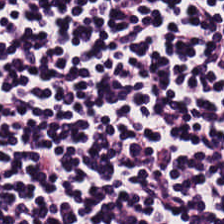H&E patch showing lymphocytic infiltrate.
